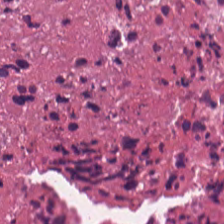H&E.
Classification — cellular debris.
